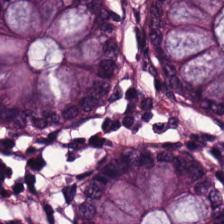H&E stain — Q: What is the predominant tissue type?
A: This is benign colonic mucosa.
